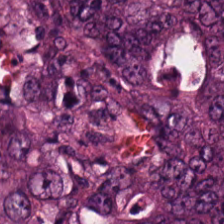H&E.
Predominantly colorectal adenocarcinoma epithelium.
